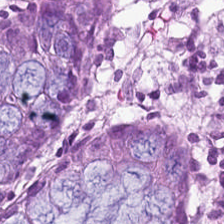This patch shows normal colon mucosa.
